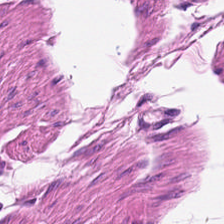H&E stain — Classification = smooth muscle.
